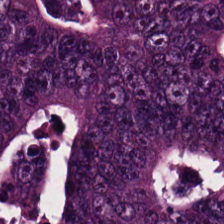Whole-slide-image patch · H&E.
Q: What is shown in this field?
A: The field shows colorectal adenocarcinoma.
